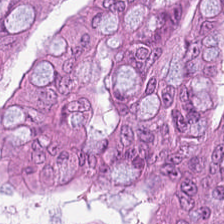Hematoxylin-and-eosin stained section · 224×224 px patch — Q: What type of tissue is this?
A: This is tumor epithelium.
